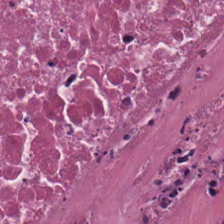H&E-stained tissue section; 224×224 px patch; FFPE.
Tissue: cellular debris.
